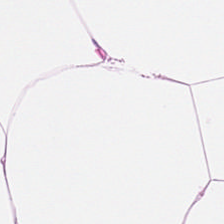0.5 µm/px; brightfield; H&E-stained tissue section.
Adipocytes.
